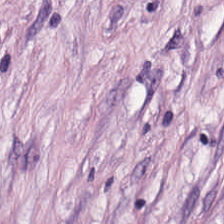H&E-stained tissue section — Q: What does this patch show?
A: Desmoplastic stroma.
